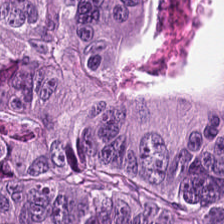Showing colorectal adenocarcinoma.
